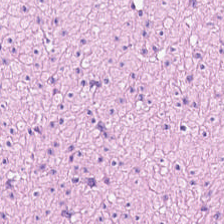Hematoxylin and eosin — Showing muscularis.
